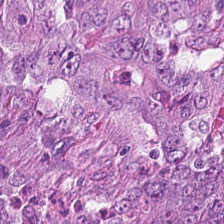H&E-stained tissue section.
{"tissue_type": "tumor epithelium"}
